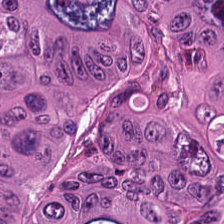H&E. This patch shows colorectal adenocarcinoma epithelium.
